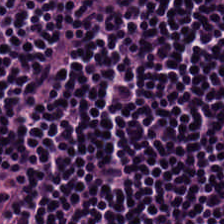0.5 microns per pixel. Hematoxylin and eosin. 224×224 px patch.
The tissue here is lymphocytes.
